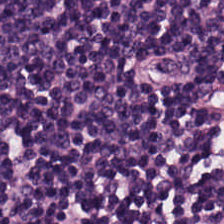{"tissue_type": "lymphocytic infiltrate"}
